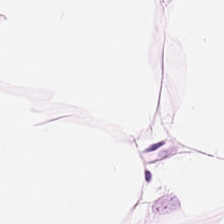H&E-stained tissue section.
Impression — adipose tissue.
